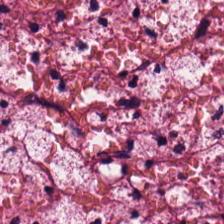Q: What does this patch show?
A: The field shows tumor-associated stroma.
